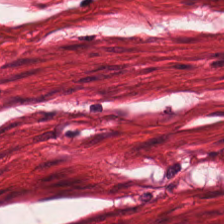The tissue here is muscularis.
